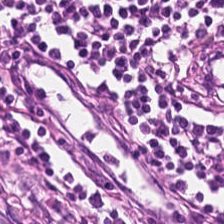Stain: H&E-stained tissue section.
Acquisition: whole-slide-image patch.
Resolution: 0.5 µm per pixel.
Predominant tissue: lymphoid infiltrate.
